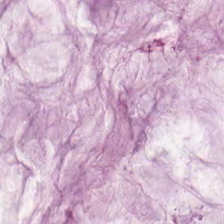H&E stain. Predominantly mucin.
